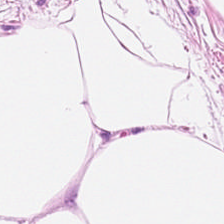H&E-stained tissue section showing adipocytes.
